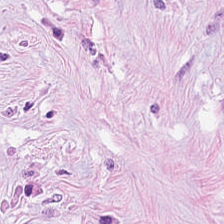Classification = tumor stroma.
